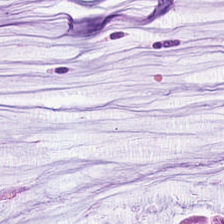H&E. Tissue type: extracellular mucin.
